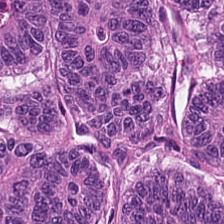H&E stain — Finding → adenocarcinoma.
